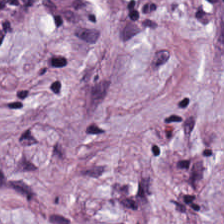Hematoxylin-and-eosin stained section.
The predominant tissue is desmoplastic stroma.
